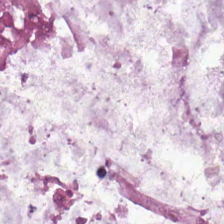Hematoxylin-and-eosin stained section; 224×224 px patch; whole-slide-image patch.
The tissue type is mucin.
